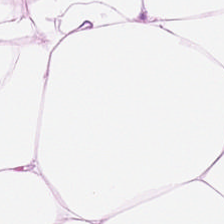FFPE tissue section; hematoxylin-and-eosin stained section. This field is fat tissue.
